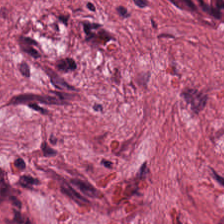Stain: hematoxylin and eosin.
Tile size: 224×224 px tile.
Tissue class: tumor-associated stroma.
